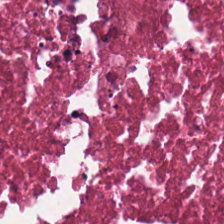20× equivalent magnification · H&E-stained tissue section · 224×224 px patch.
Impression → necrotic debris.
